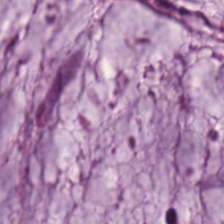Brightfield microscopy. 0.5 µm per pixel. H&E-stained tissue section — Q: What tissue type is shown here?
A: Extracellular mucin.
